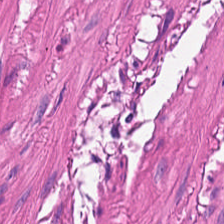Hematoxylin-and-eosin stained section — This patch shows smooth-muscle tissue.
